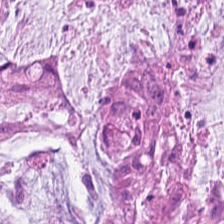Hematoxylin and eosin. Tissue type — mucin.
